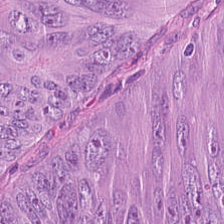Tissue = adenocarcinoma.
